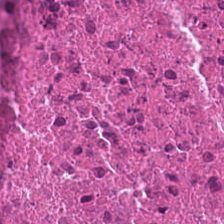Hematoxylin-and-eosin stained section · 224×224 px tile. Q: What tissue type is shown here?
A: This is necrotic debris.
